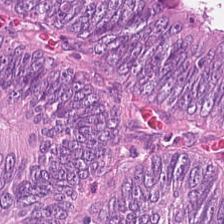Stain: hematoxylin-and-eosin stained section.
Tile size: 224×224 px tile.
Tissue class: malignant epithelium.
